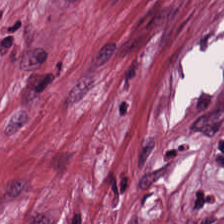H&E stain. Predominant tissue: cancer-associated stroma.
